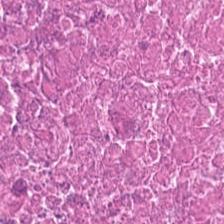{"tissue_type": "cellular debris"}
